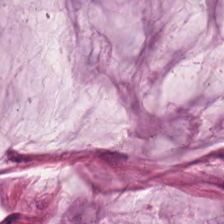Classification = mucin.
